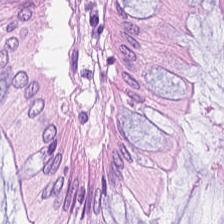Tissue type: non-neoplastic colon mucosa.
